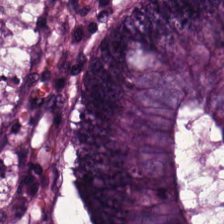WSI patch; H&E — Predominantly tumor epithelium.
